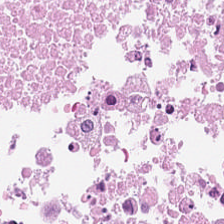H&E.
Q: What is shown in this field?
A: The field shows necrotic debris.
